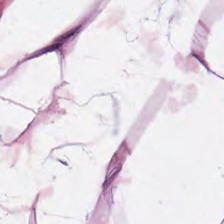H&E-stained tissue section.
Tissue: adipocytes.
